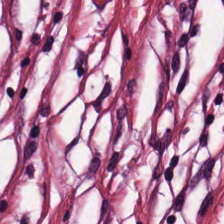{"tissue_type": "tumor-associated stroma"}
